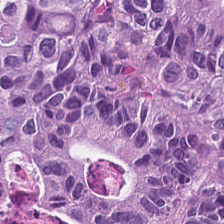20× equivalent magnification. H&E stain. Q: Identify the tissue.
A: The field shows malignant epithelium.
